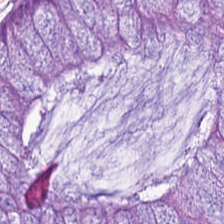Hematoxylin-and-eosin stained section — The tissue here is non-neoplastic colon mucosa.
